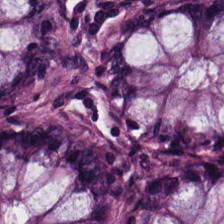Hematoxylin and eosin — Normal colonic mucosa.
